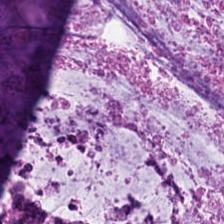Hematoxylin-and-eosin stained section — Q: What is shown here?
A: This is extracellular mucin.
